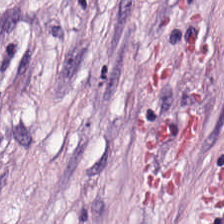Hematoxylin-and-eosin stained section — This patch shows desmoplastic stroma.
